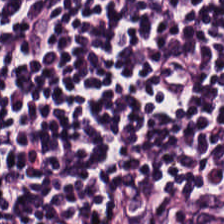Predominantly lymphoid infiltrate.
